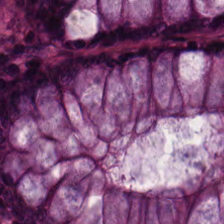Classification = non-neoplastic colon mucosa.
